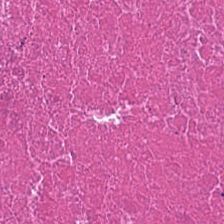H&E stain · formalin-fixed paraffin-embedded section. Finding — cellular debris.
